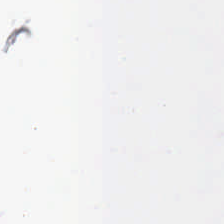This field is background (no tissue).
